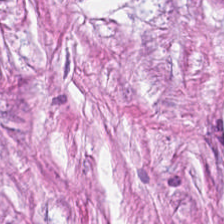H&E-stained tissue section. 224×224 pixel tile.
Predominantly tumor stroma.
